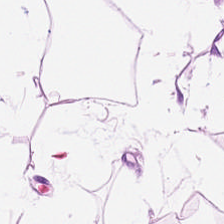224×224 pixel tile. Hematoxylin and eosin.
Q: What tissue type is shown here?
A: Adipocytes.
